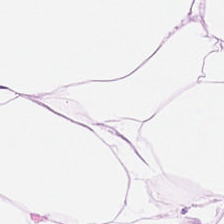0.5 µm per pixel · brightfield · hematoxylin-and-eosin stained section. Q: What tissue type is shown here?
A: The field shows adipose.
